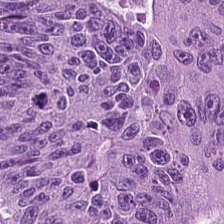Hematoxylin-and-eosin stained section. 20× equivalent magnification.
This patch shows colorectal adenocarcinoma.
